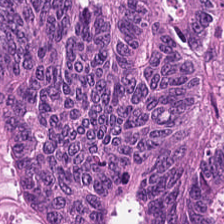Hematoxylin and eosin. Classification — adenocarcinoma.
